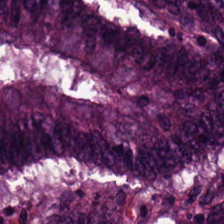Hematoxylin and eosin; 224×224 pixel tile.
Tissue type — tumor epithelium.
